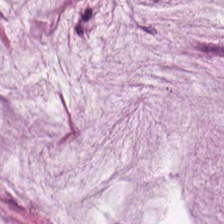H&E stain; brightfield. Mucus.
